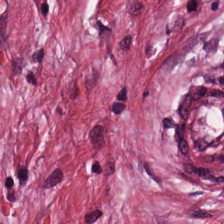H&E.
Classification = tumor stroma.
